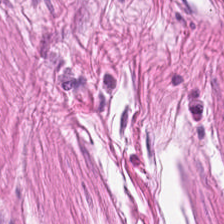H&E. Showing smooth-muscle tissue.
